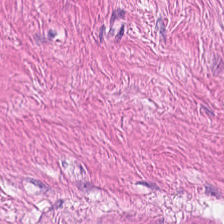224×224 px tile · H&E · WSI patch.
Finding → smooth muscle.
